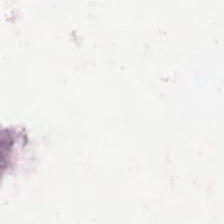Q: What is shown here?
A: This is background (no tissue).
